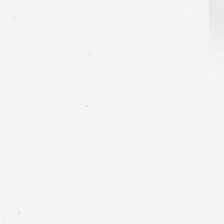Content — empty background.
